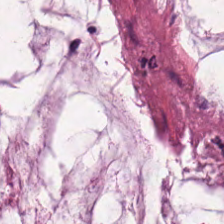Showing mucin.
